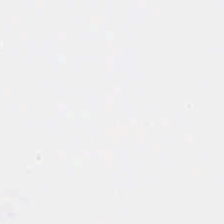Hematoxylin-and-eosin stained section.
This patch shows empty background.
